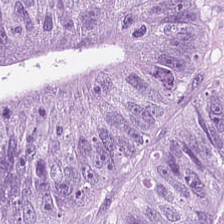H&E-stained tissue section.
{"tissue_type": "malignant epithelium"}
